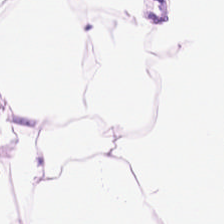Hematoxylin-and-eosin section: adipocytes.
